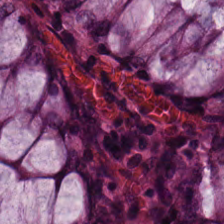Stain: hematoxylin and eosin.
Predominant tissue: non-neoplastic colon mucosa.
